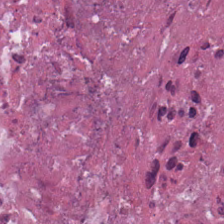H&E stain.
This field is debris.
